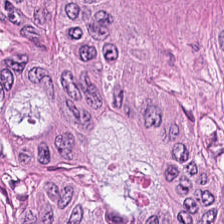Hematoxylin and eosin. The predominant tissue is malignant epithelium.
